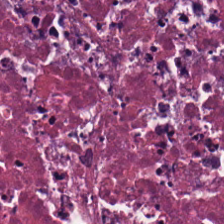H&E. Q: Classify this patch.
A: The field shows cellular debris.
